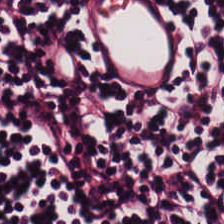Stain: hematoxylin-and-eosin stained section.
Preparation: formalin-fixed paraffin-embedded section.
Tissue class: lymphocytic infiltrate.
